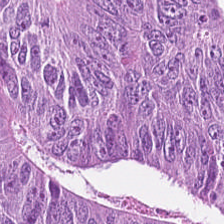H&E-stained tissue section.
{"tissue_type": "tumor epithelium"}
